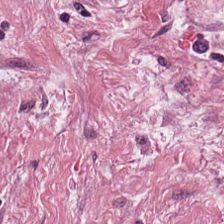H&E stain. The tissue here is tumor-associated stroma.
